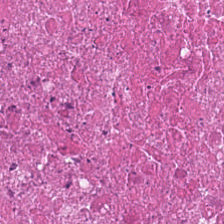H&E-stained tissue section. {"tissue_type": "necrotic debris"}
